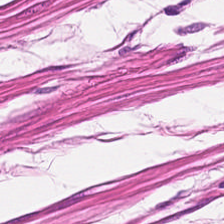{"tissue_type": "smooth muscle"}
